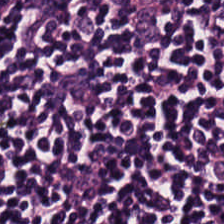FFPE tissue section · 224×224 px patch · H&E. Impression — lymphoid infiltrate.
